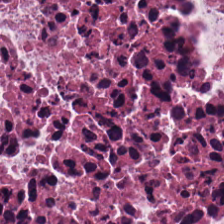H&E. Brightfield microscopy.
{"tissue_type": "cellular debris"}
